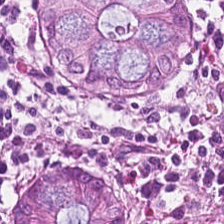Hematoxylin and eosin · 0.5 µm/px · brightfield microscopy — Showing normal colon mucosa.
